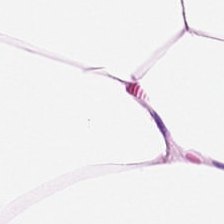224×224 px patch. Hematoxylin-and-eosin stained section.
Fat tissue.
